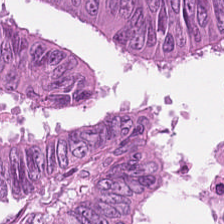Hematoxylin and eosin. This field is malignant epithelium.
